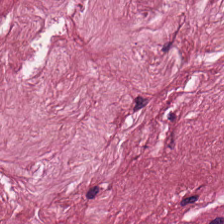Hematoxylin and eosin.
The classification is tumor stroma.
